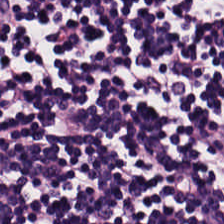Formalin-fixed paraffin-embedded section. Hematoxylin and eosin — The predominant tissue is lymphoid infiltrate.
